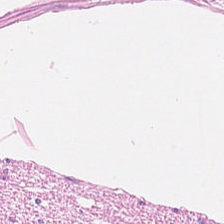Finding → smooth muscle.
